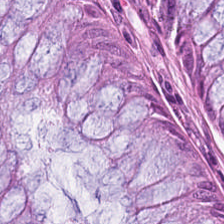Tissue type: non-neoplastic colon mucosa.
